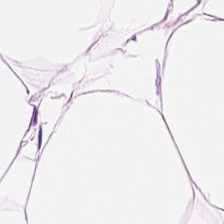20× equivalent magnification · H&E-stained tissue section — Predominantly adipose tissue.
